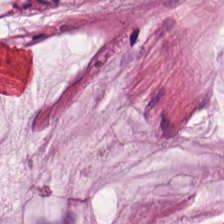Stain: hematoxylin-and-eosin stained section.
Predominant tissue: mucin.
